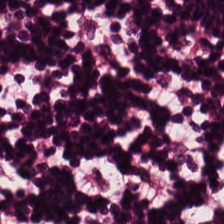Whole-slide-image patch; H&E stain.
Q: What does this patch show?
A: It is lymphoid infiltrate.
